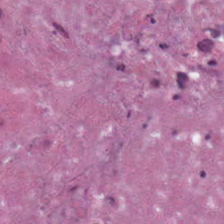224×224 pixel tile. Hematoxylin and eosin.
This field is necrotic debris.
